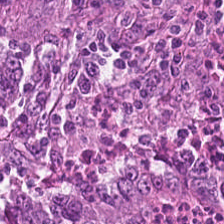Hematoxylin and eosin · formalin-fixed paraffin-embedded section — This field is malignant epithelium.
